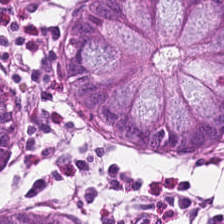Hematoxylin and eosin — The predominant tissue is normal colonic mucosa.
